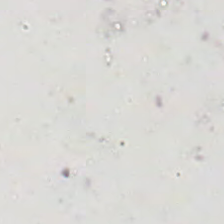Hematoxylin-and-eosin stained section.
Background (no tissue).
